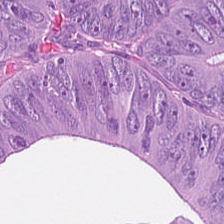H&E — Adenocarcinoma.
